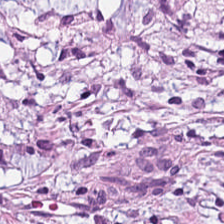H&E-stained tissue section. Histology — tumor-associated stroma.
